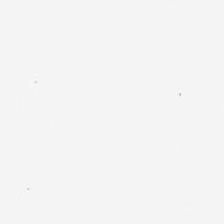The content is empty background.
